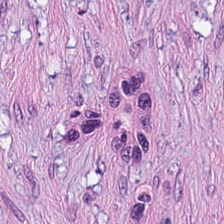H&E — Q: What is shown in this field?
A: Desmoplastic stroma.
